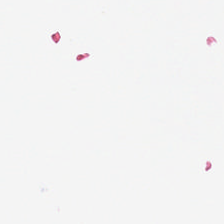H&E-stained tissue section — Q: What is shown in this field?
A: It is background (no tissue).
